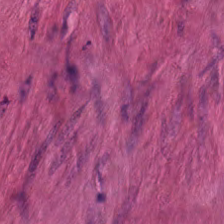H&E. 224×224 pixel tile. This field is smooth-muscle tissue.
